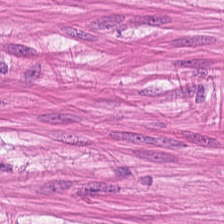Smooth-muscle tissue.
